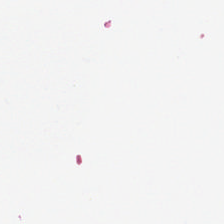Q: Classify this patch.
A: The field shows empty background.
